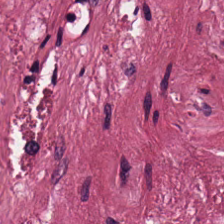Hematoxylin and eosin · 0.5 µm/px. The tissue here is desmoplastic stroma.
